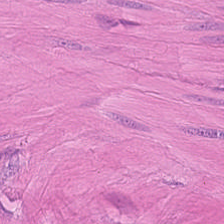Hematoxylin-and-eosin stained section.
Q: What type of tissue is this?
A: It is smooth muscle.
